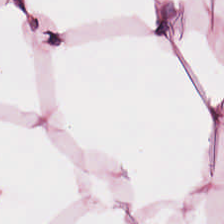224×224 px tile · H&E-stained tissue section.
Showing adipocytes.
